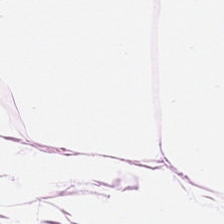Predominantly adipocytes.
